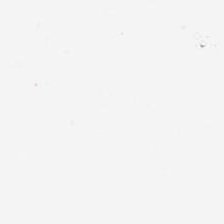H&E-stained tissue section.
Field content = no tissue.
